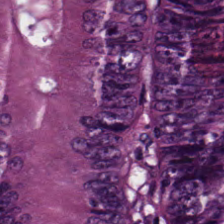Whole-slide-image patch; hematoxylin-and-eosin stained section — Predominantly malignant epithelium.
